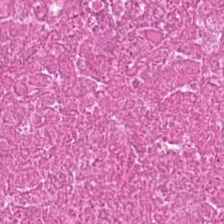0.5 microns per pixel · hematoxylin-and-eosin stained section — Q: What is the predominant tissue type?
A: Debris.
